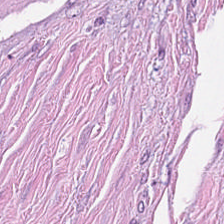H&E — The tissue type is tumor stroma.
